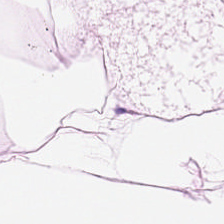FFPE tissue section; hematoxylin and eosin.
Predominant tissue — adipose tissue.
